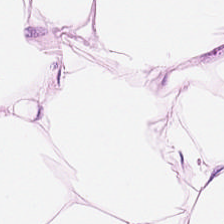Impression → adipocytes.
